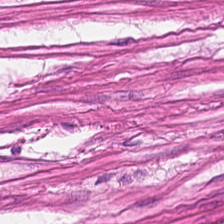Hematoxylin and eosin.
This field is muscularis.
